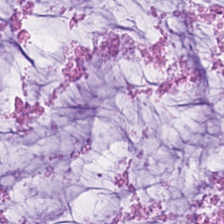Hematoxylin-and-eosin stained section. The predominant tissue is extracellular mucin.
